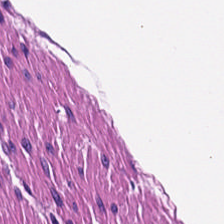Hematoxylin-and-eosin section: smooth muscle.
